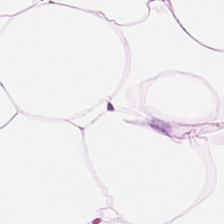0.5 µm/px. H&E stain.
Tissue: fat tissue.
